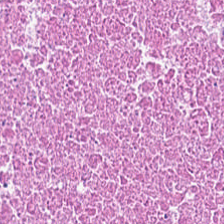224×224 px patch. H&E — Q: What tissue type is shown here?
A: The field shows necrotic debris.
